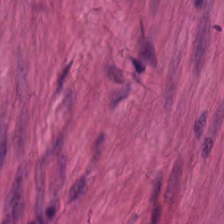H&E — Tissue class = smooth muscle.
